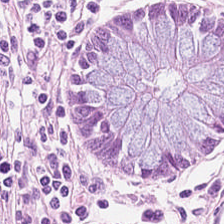Stain: H&E-stained tissue section.
Classification: normal colon mucosa.
